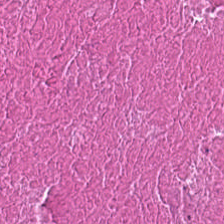0.5 microns per pixel; hematoxylin and eosin. This patch shows cellular debris.
